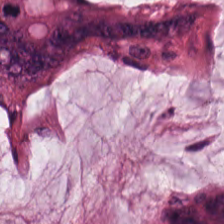Hematoxylin-and-eosin stained section · FFPE.
Finding — extracellular mucin.
